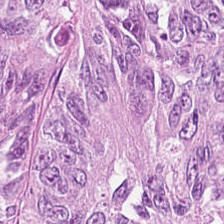H&E stain. This field is malignant epithelium.
